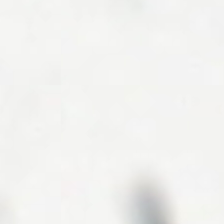Stain: hematoxylin and eosin.
Classification: no tissue.
